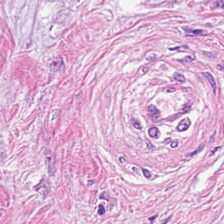Classification: cancer-associated stroma.
